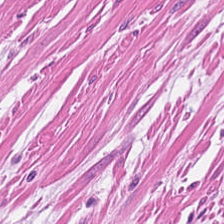H&E-stained tissue section.
Smooth-muscle tissue.
